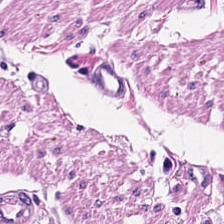Stain: H&E stain.
Tissue: smooth-muscle tissue.
